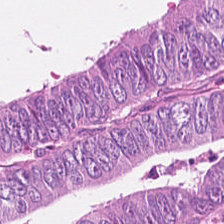H&E-stained tissue section. Brightfield.
Q: What is shown in this field?
A: The field shows colorectal adenocarcinoma.
